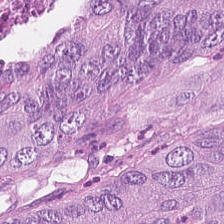H&E · WSI patch · 224×224 px patch.
Impression — adenocarcinoma.
